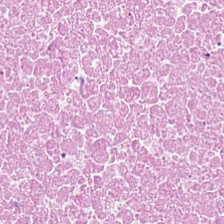Cellular debris.
